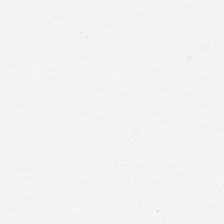Background — no tissue in this field.
